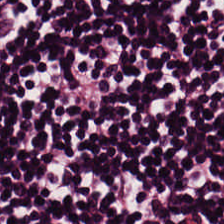Stain: hematoxylin-and-eosin stained section.
Classification: lymphocytic infiltrate.
